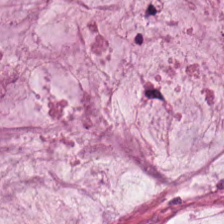Formalin-fixed paraffin-embedded section · hematoxylin-and-eosin stained section.
Q: What tissue type is shown here?
A: It is mucin.
